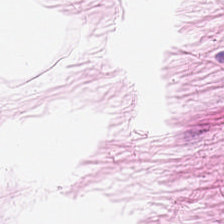Stain: H&E stain.
Resolution: 20× equivalent magnification.
Classification: fat tissue.
